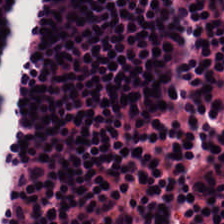H&E-stained tissue section · 0.5 µm/px. This patch shows lymphocytes.
